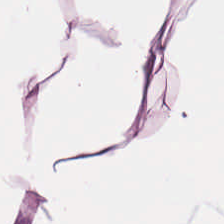H&E-stained tissue section. 0.5 microns per pixel — Q: What tissue is shown?
A: The field shows adipose tissue.
